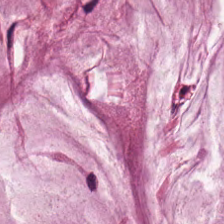H&E · FFPE — Tissue class — extracellular mucin.
